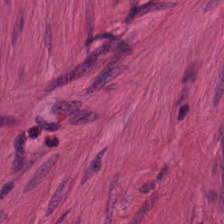Hematoxylin and eosin — Smooth-muscle tissue.
